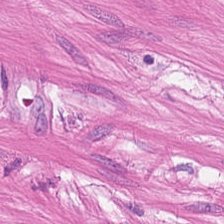FFPE. 0.5 microns per pixel. H&E stain.
The tissue here is muscularis.
